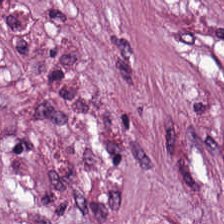H&E. 0.5 µm per pixel. Q: What tissue is shown?
A: The field shows desmoplastic stroma.
